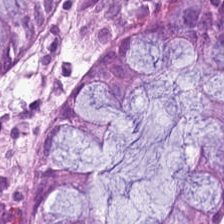H&E-stained tissue section; FFPE tissue section. Q: What is shown in this field?
A: This is normal colon mucosa.
